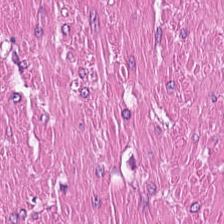Hematoxylin and eosin. WSI patch. Showing smooth muscle.
